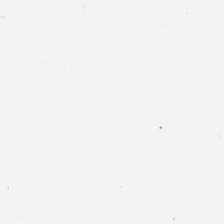Content = empty background.
